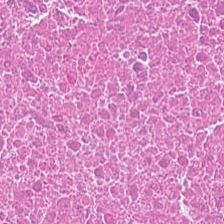Brightfield; hematoxylin and eosin; 0.5 µm per pixel — Debris.
